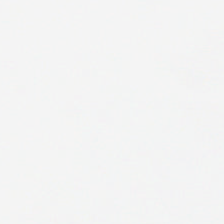WSI patch · H&E-stained tissue section. This field is background (no tissue).
